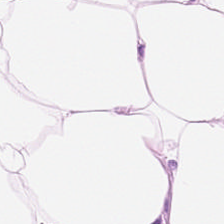Hematoxylin and eosin. Predominantly fat tissue.
